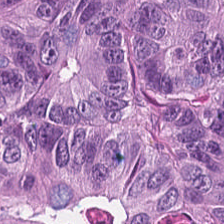H&E. The predominant tissue is adenocarcinoma.
